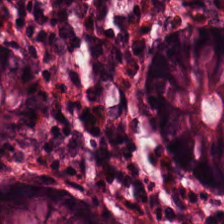Hematoxylin-and-eosin stained section. Tissue — normal colonic mucosa.
